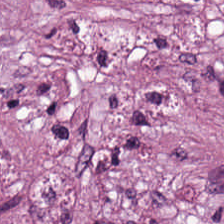H&E — desmoplastic stroma.
